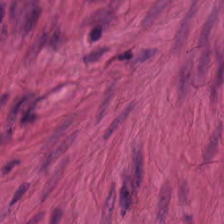20× equivalent magnification; H&E-stained tissue section. Predominantly muscularis.
